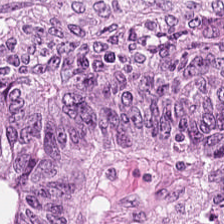Stain: H&E.
Tile size: 224×224 px patch.
Acquisition: whole-slide-image patch.
Predominant tissue: adenocarcinoma.
